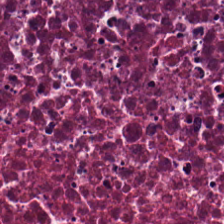Stain: hematoxylin and eosin.
Acquisition: whole-slide-image patch.
Tissue: debris.
